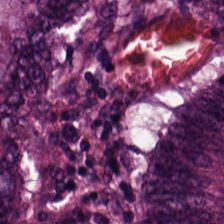Predominant tissue — colorectal adenocarcinoma.
